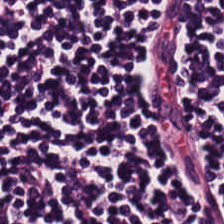H&E stain · 224×224 px tile — Impression — lymphoid infiltrate.
